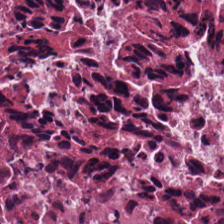This field is necrotic debris.
